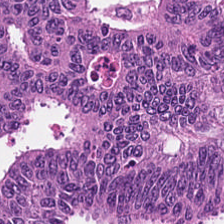Hematoxylin and eosin · 0.5 µm per pixel. Tissue: tumor epithelium.
